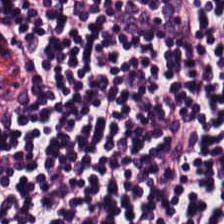Showing lymphocytic infiltrate.
